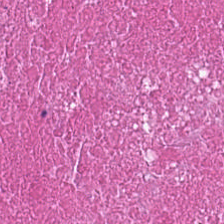H&E. 224×224 px tile. The predominant tissue is necrotic debris.
